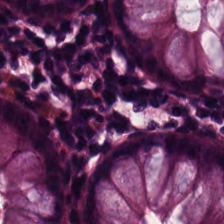Hematoxylin-and-eosin stained section — Finding — normal colonic mucosa.
